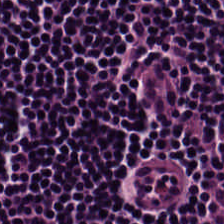Hematoxylin and eosin.
Lymphocytes.
